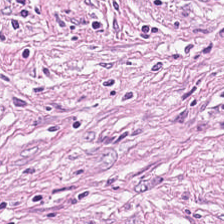Hematoxylin and eosin.
Histology → cancer-associated stroma.
